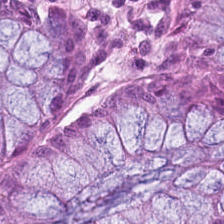H&E-stained section; the field shows non-neoplastic colon mucosa.
